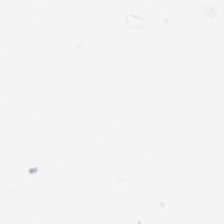Q: Classify this patch.
A: Background.
